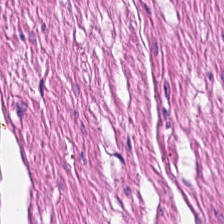0.5 µm/px · H&E-stained tissue section · whole-slide-image patch — Showing muscularis.
